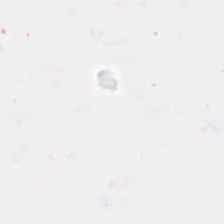H&E · FFPE tissue section. The field content is background (no tissue).
